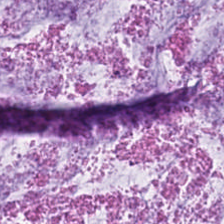The tissue type is mucus.
